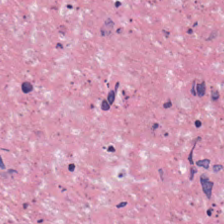H&E-stained tissue section. Showing debris.
